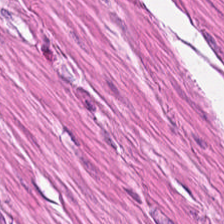Stain: H&E stain.
Predominant tissue: smooth muscle.
